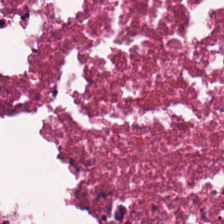0.5 µm per pixel · H&E.
This field is cellular debris.
